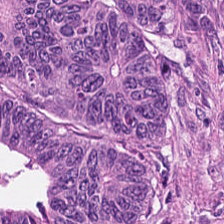Histology → tumor epithelium.
